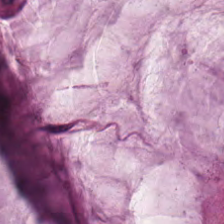Showing mucus.
